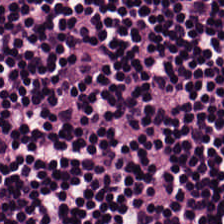FFPE tissue section. H&E stain. 20× equivalent magnification — Showing lymphocytic infiltrate.
